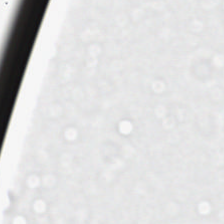H&E.
No tissue present; background only.
